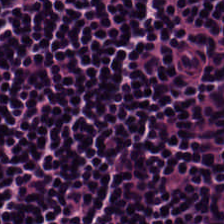H&E-stained tissue section. Predominant tissue: lymphoid infiltrate.
